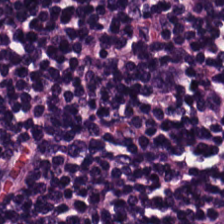224×224 px patch; H&E stain.
Lymphocytic infiltrate.
